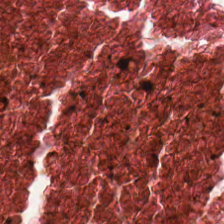224×224 px patch; hematoxylin and eosin.
Classification: cellular debris.
